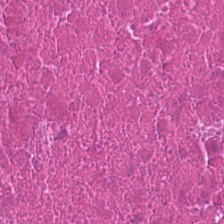FFPE. H&E. 224×224 pixel tile — Tissue type = debris.
